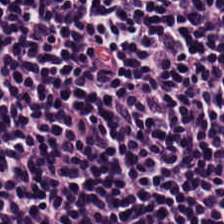0.5 microns per pixel. H&E stain — Predominantly lymphoid infiltrate.
